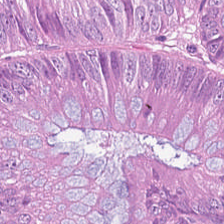Stain: hematoxylin and eosin.
Tissue class: colorectal adenocarcinoma epithelium.
